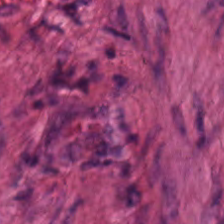Hematoxylin and eosin. Classification = smooth-muscle tissue.
